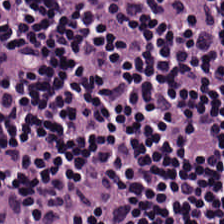224×224 pixel tile · 0.5 microns per pixel · hematoxylin-and-eosin stained section. The tissue class is lymphocytic infiltrate.
